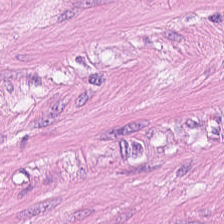H&E-stained tissue section. Formalin-fixed paraffin-embedded section. Whole-slide-image patch.
Predominant tissue = smooth-muscle tissue.
